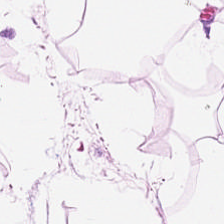Brightfield microscopy · hematoxylin-and-eosin stained section.
This patch shows adipocytes.
